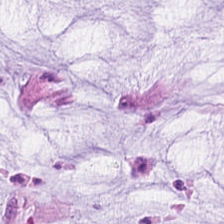Hematoxylin and eosin.
Q: What is shown here?
A: This is extracellular mucin.
